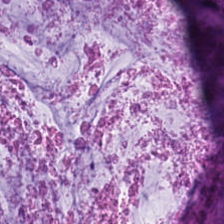H&E stain. Whole-slide-image patch.
Tissue type: mucin.
